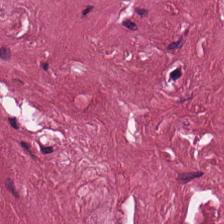WSI patch. Hematoxylin and eosin. 20× equivalent magnification.
Q: What tissue is shown?
A: It is desmoplastic stroma.
